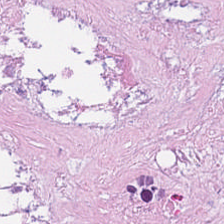H&E-stained tissue section — Q: Classify this patch.
A: It is debris.
